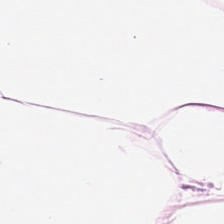Stain: hematoxylin-and-eosin stained section.
Resolution: 0.5 µm per pixel.
Acquisition: WSI patch.
Predominant tissue: adipose.
